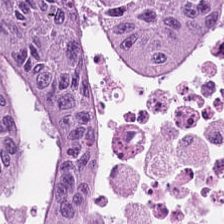Impression — tumor epithelium.
